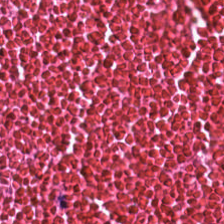Hematoxylin-and-eosin stained section — Predominant tissue = debris.
